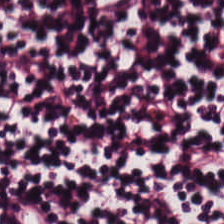Q: What tissue is shown?
A: This is lymphocytes.
